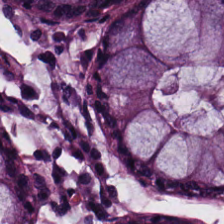Predominantly normal colonic mucosa.
